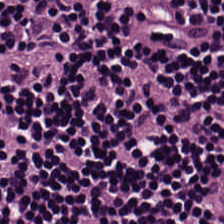Hematoxylin-and-eosin stained section — Impression — lymphocytic infiltrate.
